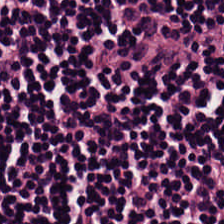H&E-stained tissue section; WSI patch.
Showing lymphocytes.
